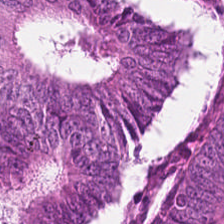The tissue class is colorectal adenocarcinoma.
